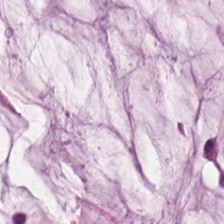Whole-slide-image patch · 0.5 microns per pixel · hematoxylin and eosin. Q: Identify the tissue.
A: Extracellular mucin.
